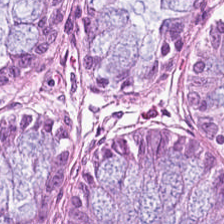H&E stain; brightfield microscopy. {"tissue_type": "normal colon mucosa"}
